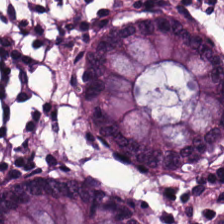Hematoxylin and eosin. Showing normal colonic mucosa.
